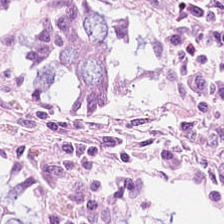H&E-stained tissue section.
Classification — non-neoplastic colon mucosa.
